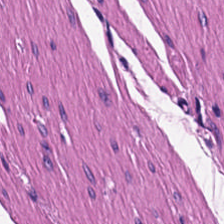Hematoxylin-and-eosin stained section. FFPE tissue section. Predominantly muscularis.
